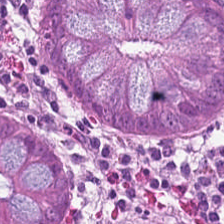Hematoxylin and eosin.
The classification is normal colonic mucosa.
